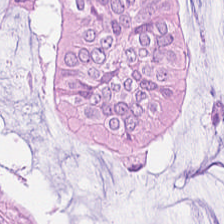224×224 px tile · brightfield · H&E stain.
The tissue class is malignant epithelium.
